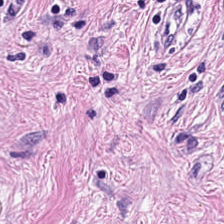H&E stain · FFPE tissue section — Q: What is shown in this field?
A: The field shows desmoplastic stroma.
